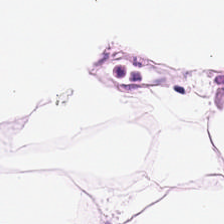Formalin-fixed paraffin-embedded section · WSI patch · H&E stain — Finding → adipose tissue.
